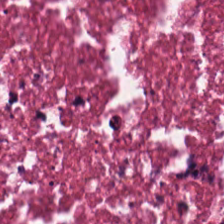224×224 pixel tile; hematoxylin-and-eosin stained section; FFPE tissue section.
Classification — debris.
